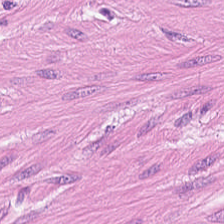H&E stain. Predominant tissue = smooth-muscle tissue.
